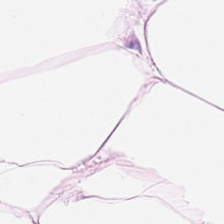Hematoxylin-and-eosin stained section — Q: What is shown here?
A: This is adipose.
